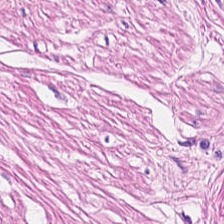H&E-stained tissue section — Muscularis.
